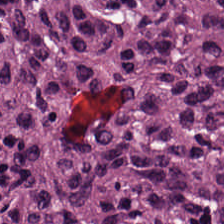Predominantly adenocarcinoma.
